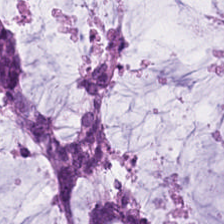Showing mucin.
